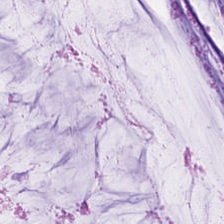FFPE tissue section. H&E-stained tissue section. Showing mucus.
